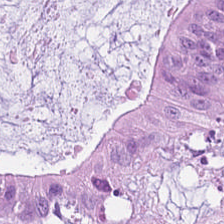Tissue class = extracellular mucin.
